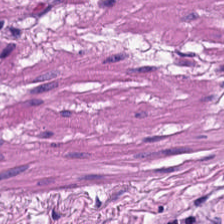H&E-stained tissue section — Q: What tissue is shown?
A: The field shows smooth-muscle tissue.
